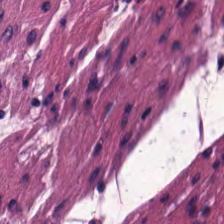Q: What does this patch show?
A: This is muscularis.
